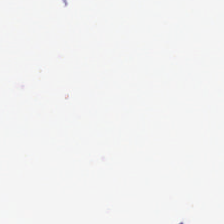H&E; 20× equivalent magnification; brightfield.
Classification: no tissue.
